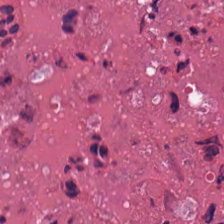Q: What is shown in this field?
A: Cellular debris.
